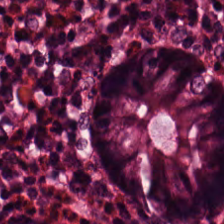Hematoxylin-and-eosin stained section. Whole-slide-image patch. The predominant tissue is benign colonic mucosa.
